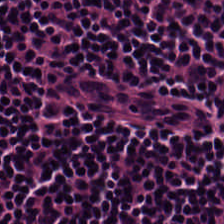Hematoxylin-and-eosin stained section. The predominant tissue is lymphocytes.
